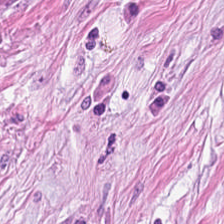224×224 px patch · H&E-stained tissue section · 0.5 µm per pixel.
This field is tumor stroma.
